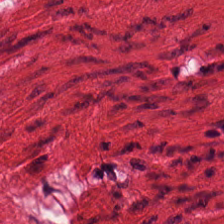Hematoxylin-and-eosin section: smooth muscle.
